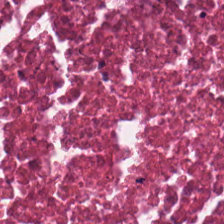H&E stain · 224×224 px patch — Tissue type = necrotic debris.
